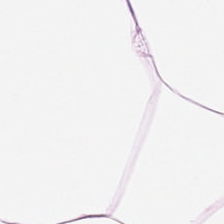Q: What is the predominant tissue type?
A: This is adipocytes.
